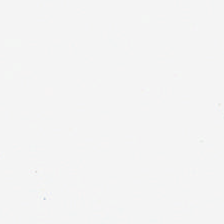Impression — background.
